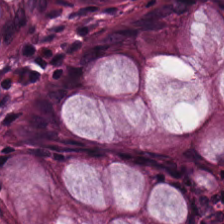H&E. WSI patch. 224×224 px tile — Q: Classify this patch.
A: Normal colonic mucosa.
